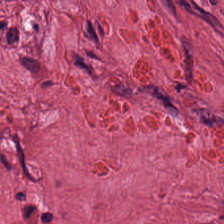Hematoxylin-and-eosin stained section · formalin-fixed paraffin-embedded section · WSI patch — Classification: tumor stroma.
